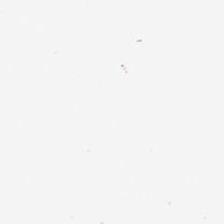Hematoxylin and eosin. WSI patch.
Classification: background.
